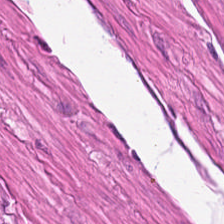Tissue type — muscularis.
